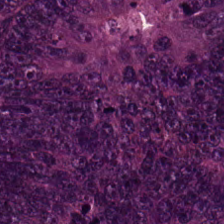H&E stain — The tissue here is tumor epithelium.
